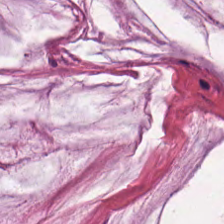H&E-stained tissue section. The tissue here is mucus.
